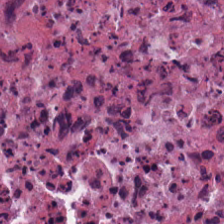FFPE tissue section. Hematoxylin and eosin. 224×224 pixel tile. Q: What tissue is shown?
A: This is debris.
